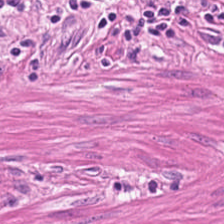Stain: H&E stain.
Acquisition: brightfield microscopy.
Preparation: formalin-fixed paraffin-embedded section.
Classification: smooth muscle.
